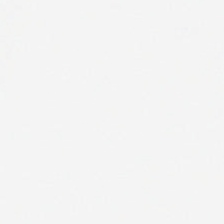Background — no tissue in this field.
